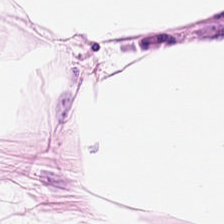Hematoxylin and eosin · brightfield microscopy — Tissue type: fat tissue.
